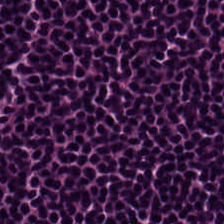Formalin-fixed paraffin-embedded section · hematoxylin-and-eosin stained section — Q: What type of tissue is this?
A: Lymphoid infiltrate.
